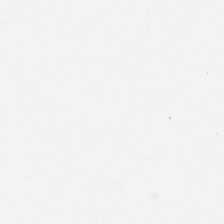Hematoxylin-and-eosin stained section · WSI patch.
Empty field — background (no tissue).
